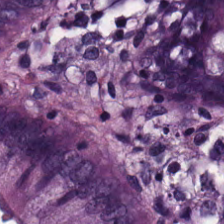Stain: hematoxylin and eosin.
Tissue type: normal colonic mucosa.
